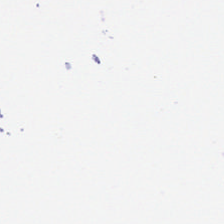H&E.
No tissue present; background only.
